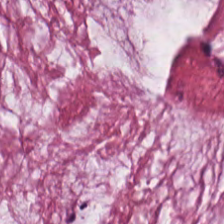Stain: hematoxylin-and-eosin stained section.
Tissue: extracellular mucin.
